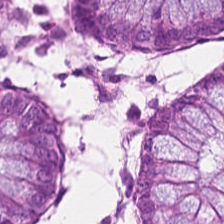Finding → normal colonic mucosa.
